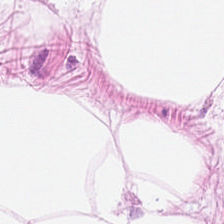H&E stain · formalin-fixed paraffin-embedded section — Tissue class = adipose tissue.
